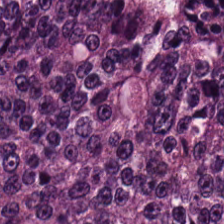FFPE tissue section; H&E-stained tissue section — Tissue class — colorectal adenocarcinoma.
